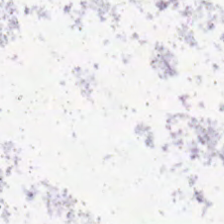Background (no tissue).
